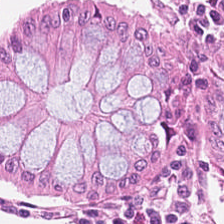Stain: H&E stain.
Classification: normal colon mucosa.
